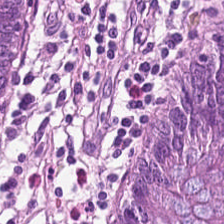H&E-stained tissue section. Non-neoplastic colon mucosa.
